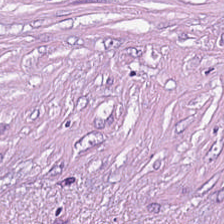Hematoxylin and eosin — The tissue class is tumor-associated stroma.
